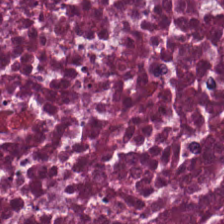H&E-stained tissue section.
Predominantly cellular debris.
